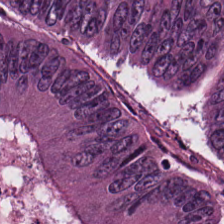Hematoxylin-and-eosin stained section · formalin-fixed paraffin-embedded section · 0.5 microns per pixel.
Predominantly colorectal adenocarcinoma.
